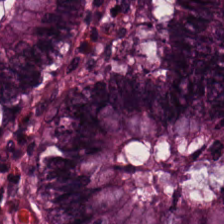H&E stain.
The tissue here is non-neoplastic colon mucosa.
